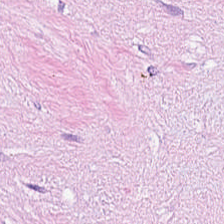WSI patch; H&E. Classification — cancer-associated stroma.
